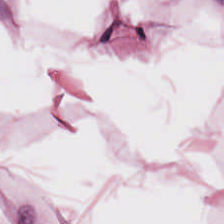H&E stain. Classification: adipocytes.
